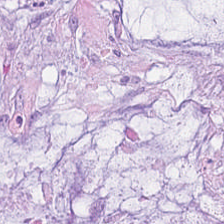Stain: H&E.
Tile size: 224×224 px tile.
Predominant tissue: extracellular mucin.
